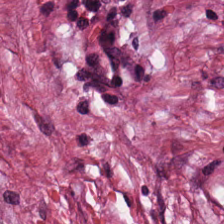Tissue type — tumor-associated stroma.
